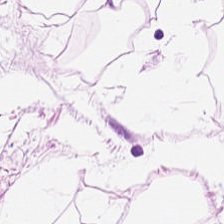H&E stain — Predominantly fat tissue.
